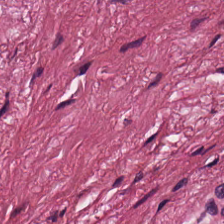0.5 µm per pixel. H&E-stained tissue section. 224×224 pixel tile. {"tissue_type": "desmoplastic stroma"}
